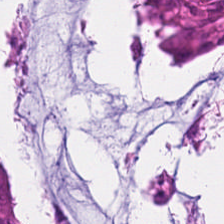Hematoxylin-and-eosin stained section · whole-slide-image patch — Showing colorectal adenocarcinoma epithelium.
